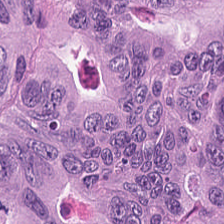H&E-stained tissue section showing tumor epithelium.
